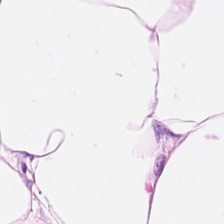Stain: H&E stain.
Predominant tissue: adipocytes.
